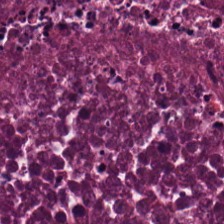Hematoxylin and eosin.
This patch shows cellular debris.
